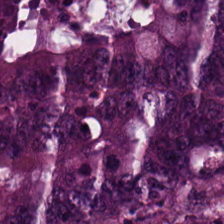224×224 pixel tile. Whole-slide-image patch. H&E — Finding — malignant epithelium.
